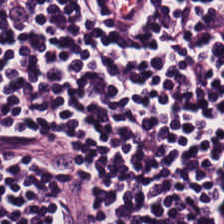0.5 µm per pixel. Formalin-fixed paraffin-embedded section. H&E-stained tissue section — Predominant tissue — lymphocyte aggregate.
